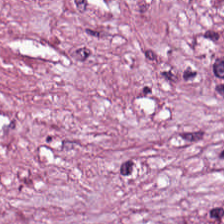Hematoxylin-and-eosin stained section. Tissue type = tumor stroma.
